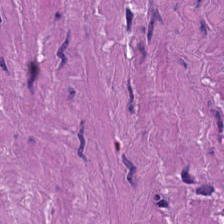Brightfield microscopy; hematoxylin-and-eosin stained section.
The predominant tissue is muscularis.
